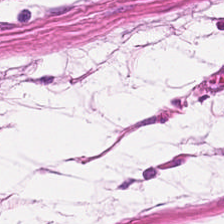Classification — smooth muscle.
